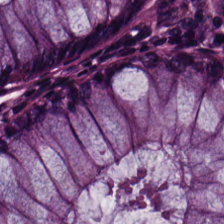Formalin-fixed paraffin-embedded section · brightfield · hematoxylin and eosin.
This field is non-neoplastic colon mucosa.
